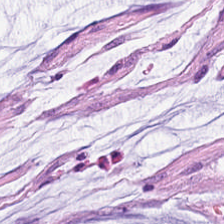Hematoxylin-and-eosin stained section — Tissue type = extracellular mucin.
